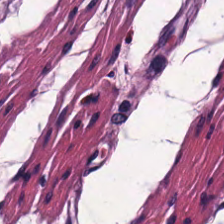Hematoxylin-and-eosin stained section — Showing muscularis.
